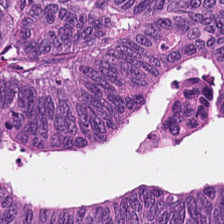Stain: hematoxylin and eosin.
Tissue type: colorectal adenocarcinoma epithelium.
